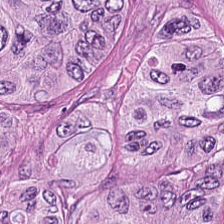H&E-stained tissue section.
Predominantly malignant epithelium.
